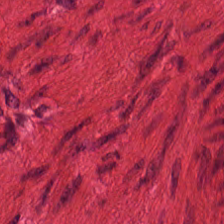Hematoxylin and eosin; 0.5 µm/px.
The tissue class is smooth-muscle tissue.
